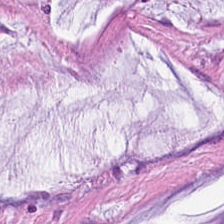H&E; formalin-fixed paraffin-embedded section; whole-slide-image patch. Predominantly extracellular mucin.
